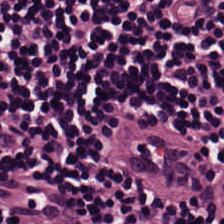H&E-stained tissue section. Tissue class: lymphoid infiltrate.
